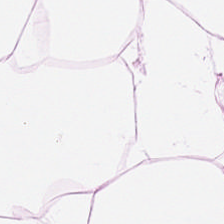Stain: hematoxylin-and-eosin stained section.
Predominant tissue: adipocytes.
